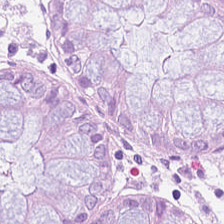H&E-stained tissue section.
Q: What type of tissue is this?
A: It is non-neoplastic colon mucosa.
